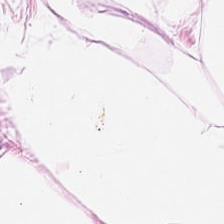Brightfield; hematoxylin-and-eosin stained section; 224×224 px tile.
The tissue here is adipose.
